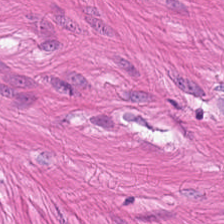Hematoxylin and eosin — The tissue here is smooth muscle.
